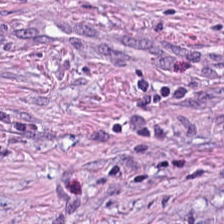H&E stain — This patch shows tumor stroma.
